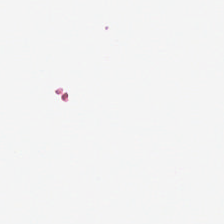H&E-stained tissue section. Brightfield microscopy — Content — no tissue.
